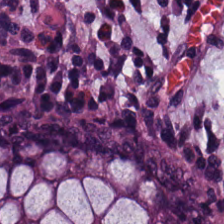H&E patch showing normal colonic mucosa.
